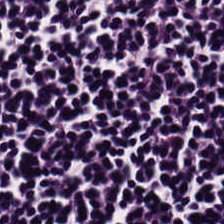Q: What is the predominant tissue type?
A: This is lymphoid infiltrate.
